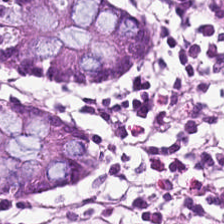Stain: H&E.
Predominant tissue: non-neoplastic colon mucosa.
